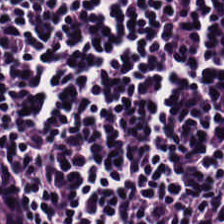The tissue class is lymphocytic infiltrate.
